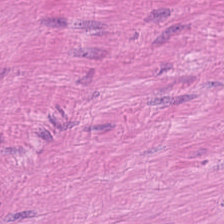H&E stain · 224×224 px tile. The tissue type is muscularis.
